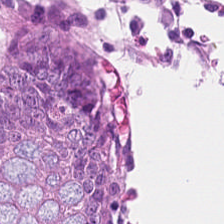H&E-stained tissue section. Benign colonic mucosa.
